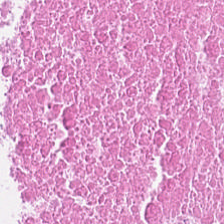H&E stain. 224×224 px tile — Histology — necrotic debris.
